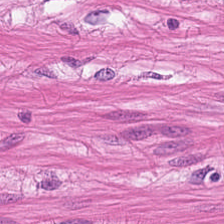H&E.
Muscularis.
